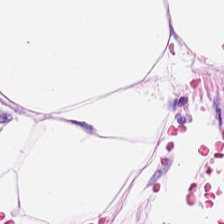H&E — adipose.
